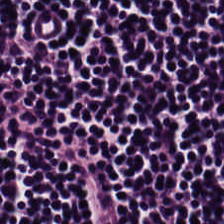H&E-stained tissue section. Predominantly lymphocyte aggregate.
